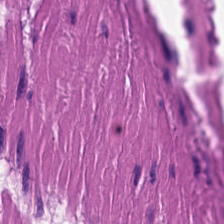Stain: H&E stain.
Tissue: muscularis.
